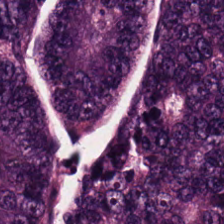H&E stain. 224×224 px tile.
This patch shows adenocarcinoma.
